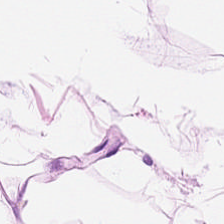Hematoxylin and eosin. FFPE. 224×224 px tile.
Showing fat tissue.
